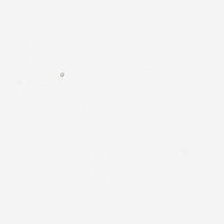Stain: H&E.
Field content: empty background.
